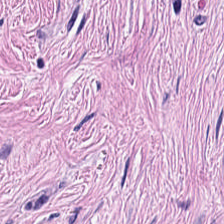FFPE; 0.5 microns per pixel; hematoxylin and eosin. {"tissue_type": "desmoplastic stroma"}
